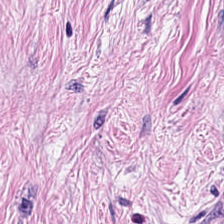Hematoxylin-and-eosin stained section. Showing cancer-associated stroma.
